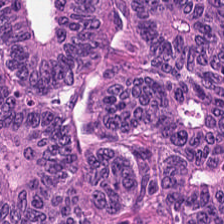H&E-stained tissue section.
Classification = malignant epithelium.
